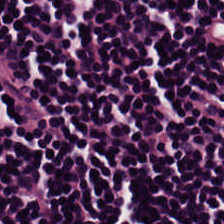Hematoxylin and eosin. Showing lymphocytic infiltrate.
